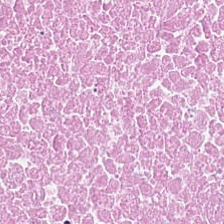Brightfield microscopy. H&E — Q: What tissue type is shown here?
A: The field shows debris.
